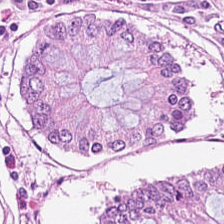Brightfield. Hematoxylin and eosin. This patch shows normal colon mucosa.
